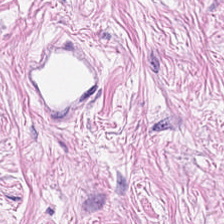H&E — The tissue here is cancer-associated stroma.
